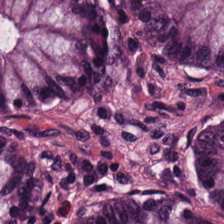Hematoxylin and eosin.
Q: What tissue type is shown here?
A: This is benign colonic mucosa.
